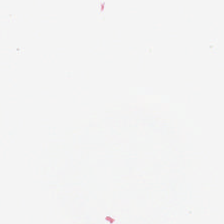Q: Classify this patch.
A: The field shows background (no tissue).
